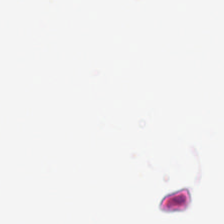H&E stain.
Content: empty background.
